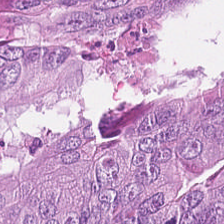224×224 px patch; hematoxylin and eosin — Tissue — malignant epithelium.
